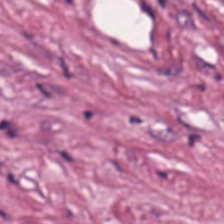H&E stain · 0.5 µm per pixel.
Histology → tumor stroma.
